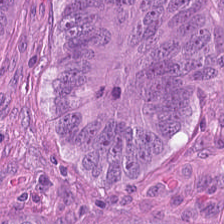0.5 microns per pixel. H&E-stained tissue section — Classification = colorectal adenocarcinoma epithelium.
